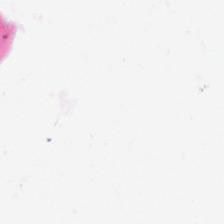224×224 px tile; hematoxylin-and-eosin stained section — The field content is no tissue.
